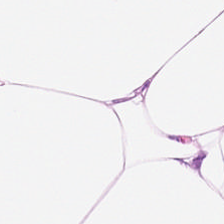Stain: H&E.
Tissue type: fat tissue.
